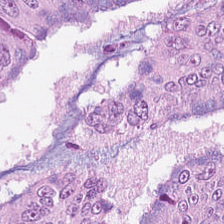Hematoxylin and eosin — Tissue — colorectal adenocarcinoma epithelium.
